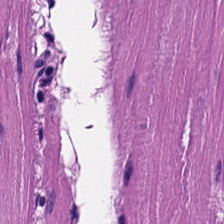Stain: H&E stain.
Predominant tissue: muscularis.
